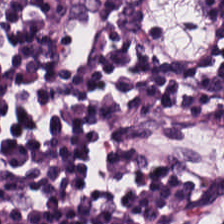H&E — Q: What is shown here?
A: Lymphocytic infiltrate.
